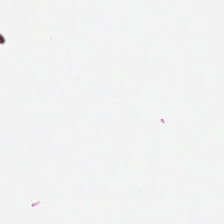Q: What does this patch show?
A: No tissue.
